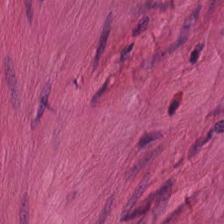Q: What tissue type is shown here?
A: It is smooth muscle.
